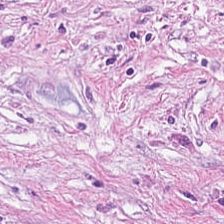Hematoxylin-and-eosin stained section.
This patch shows tumor stroma.
